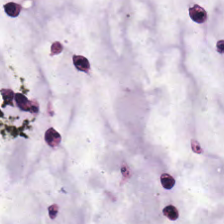Showing mucin.
